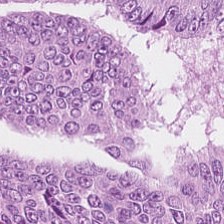H&E stain.
The tissue here is adenocarcinoma.
